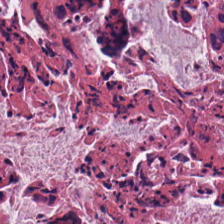0.5 µm per pixel · H&E · FFPE — Q: What tissue type is shown here?
A: This is necrotic debris.
